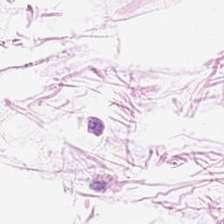Stain: H&E-stained tissue section.
Preparation: formalin-fixed paraffin-embedded section.
Tissue type: adipocytes.
